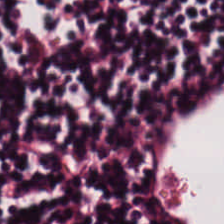H&E stain — Q: Classify this patch.
A: Lymphocytic infiltrate.
